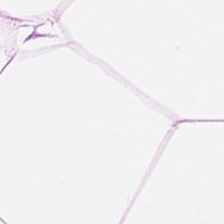Stain: H&E stain.
Tissue class: fat tissue.
